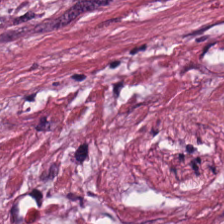Hematoxylin-and-eosin stained section.
Tumor-associated stroma.
